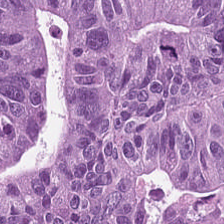H&E stain — The predominant tissue is malignant epithelium.
